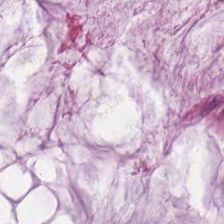Hematoxylin-and-eosin stained section; 0.5 microns per pixel. This patch shows extracellular mucin.
